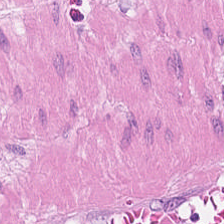Tissue type — smooth muscle.
